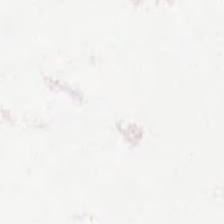Hematoxylin-and-eosin stained section; 224×224 px patch.
This field is background (no tissue).
